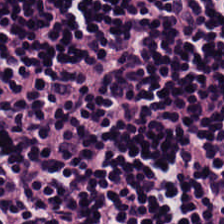0.5 microns per pixel; FFPE tissue section; H&E-stained tissue section — Tissue class — lymphocyte aggregate.
